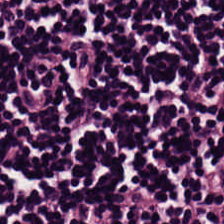H&E-stained tissue section.
Showing lymphocyte aggregate.
